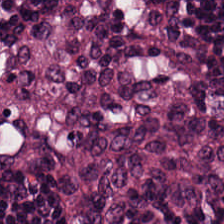224×224 px patch. Hematoxylin-and-eosin stained section. Predominant tissue — lymphoid infiltrate.
